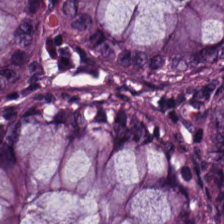224×224 px tile. FFPE. H&E — Tissue — benign colonic mucosa.
